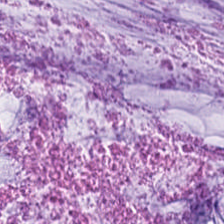H&E.
Tissue type = extracellular mucin.
